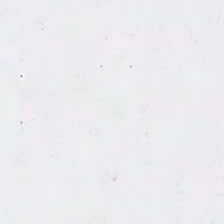H&E.
This field is background (no tissue).
